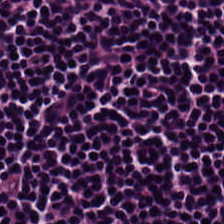Showing lymphocytic infiltrate.
